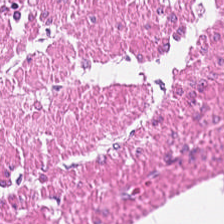Predominant tissue: smooth muscle.
